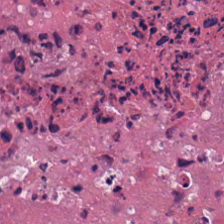WSI patch · hematoxylin and eosin.
Q: Classify this patch.
A: The field shows necrotic debris.
